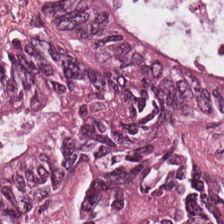H&E — {"tissue_type": "malignant epithelium"}
